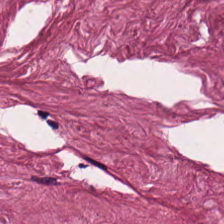Tissue — desmoplastic stroma.
